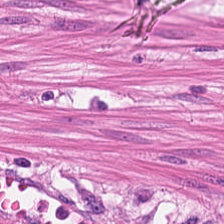Stain: H&E stain.
Tissue: muscularis.
